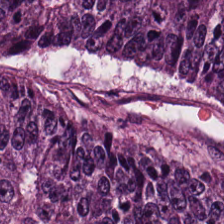H&E. Histology → colorectal adenocarcinoma.
